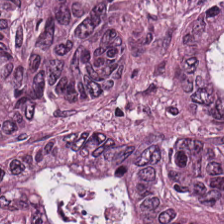Hematoxylin-and-eosin stained section. 224×224 px tile — {"tissue_type": "tumor epithelium"}
